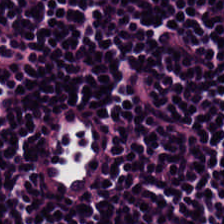H&E stain; whole-slide-image patch. Q: What is shown in this field?
A: This is lymphocyte aggregate.
